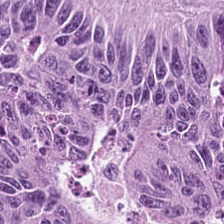WSI patch. H&E-stained tissue section.
Q: What is the predominant tissue type?
A: The field shows adenocarcinoma.
